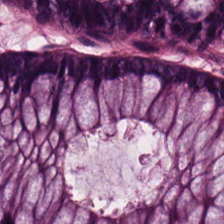H&E stain.
Tissue type: benign colonic mucosa.
